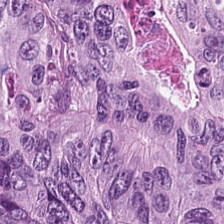Whole-slide-image patch; H&E stain; FFPE. Showing tumor epithelium.
